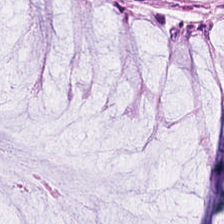224×224 px tile; hematoxylin-and-eosin stained section. Finding → normal colonic mucosa.
